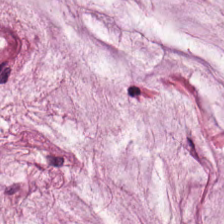Hematoxylin-and-eosin stained section · 224×224 px tile · 0.5 µm per pixel.
Mucus.
